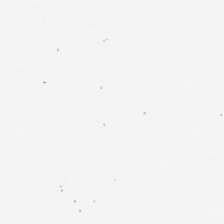No tissue present; background only.
